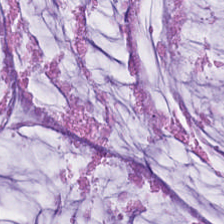Stain: hematoxylin and eosin.
Acquisition: whole-slide-image patch.
Tissue type: mucin.
